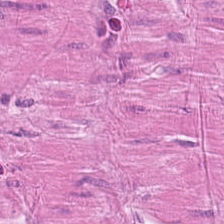Brightfield; 0.5 µm per pixel; H&E — This field is smooth-muscle tissue.
